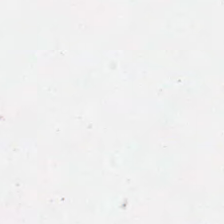0.5 µm per pixel. H&E stain. Brightfield — The field content is background (no tissue).
